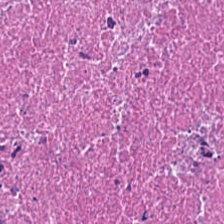Tissue: debris.
